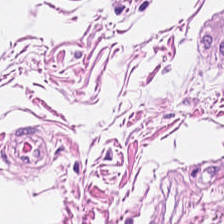H&E stain · FFPE. The tissue is muscularis.
